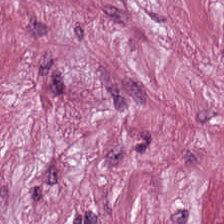Stain: H&E stain.
Acquisition: brightfield.
Resolution: 0.5 µm per pixel.
Tissue class: cancer-associated stroma.
